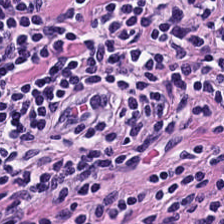Predominantly lymphocytes.
